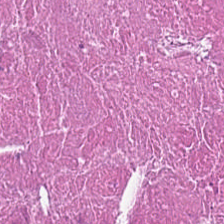Formalin-fixed paraffin-embedded section; H&E stain; 0.5 microns per pixel — Debris.
